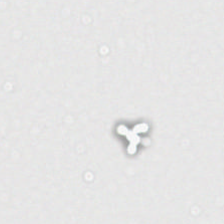H&E stain. The field content is background.
